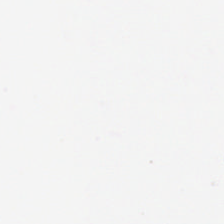H&E stain · whole-slide-image patch.
Impression → background (no tissue).
